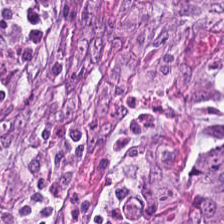The predominant tissue is adenocarcinoma.
